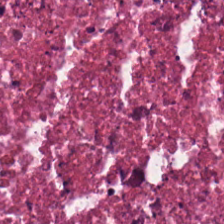Hematoxylin and eosin — The tissue is cellular debris.
